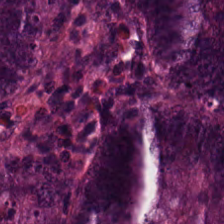H&E-stained tissue section · FFPE tissue section — Tissue = tumor epithelium.
